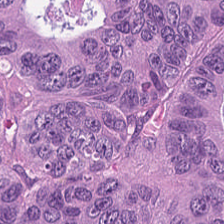H&E stain — Q: What type of tissue is this?
A: This is malignant epithelium.
